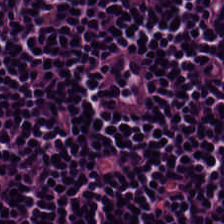Stain: hematoxylin and eosin.
Predominant tissue: lymphocyte aggregate.
